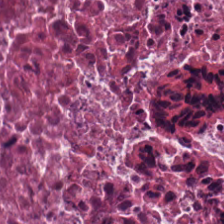H&E stain. This field is cellular debris.
